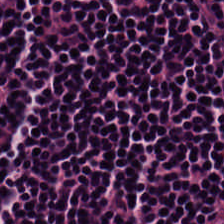H&E stain — This field is lymphocytes.
